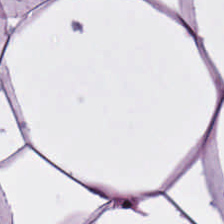20× equivalent magnification. H&E-stained tissue section — Q: What tissue is shown?
A: The field shows adipose tissue.
